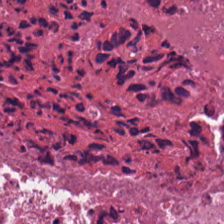Hematoxylin-and-eosin stained section. 0.5 µm/px. Showing debris.
